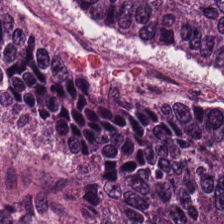H&E — Q: What tissue is shown?
A: The field shows adenocarcinoma.
